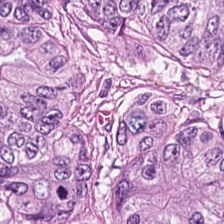Hematoxylin-and-eosin section: colorectal adenocarcinoma.
